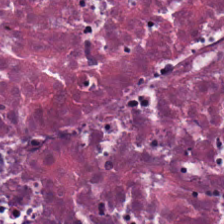Hematoxylin-and-eosin stained section. Finding — debris.
